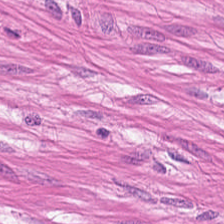H&E. Brightfield. Predominantly muscularis.
